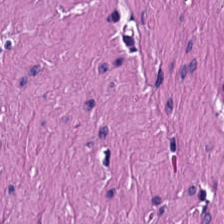Hematoxylin and eosin.
Tissue class: smooth muscle.
